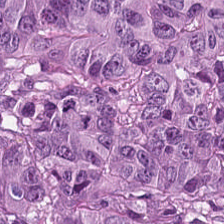0.5 µm/px. FFPE tissue section. H&E stain. {"tissue_type": "malignant epithelium"}
